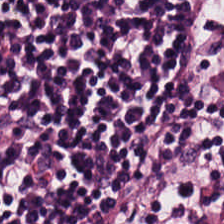Hematoxylin-and-eosin stained section.
Q: What is the predominant tissue type?
A: Lymphocytic infiltrate.
